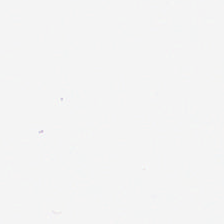Brightfield microscopy · H&E.
Background — no tissue in this field.
